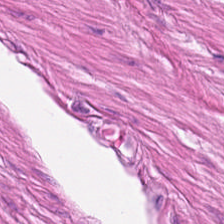H&E stain. This patch shows smooth muscle.
